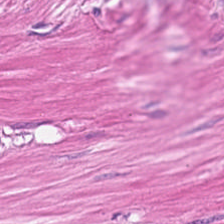H&E-stained tissue section — Tissue type: smooth muscle.
